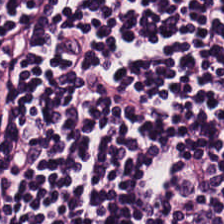Hematoxylin and eosin. Classification = lymphocytes.
